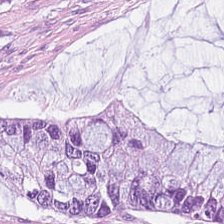H&E stain. Whole-slide-image patch. This field is extracellular mucin.
